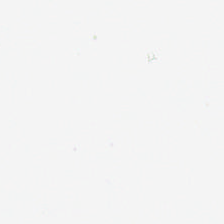Stain: hematoxylin and eosin.
Content: no tissue.
